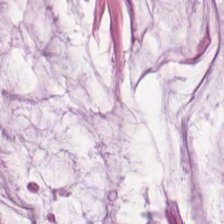H&E. FFPE tissue section. 0.5 µm/px.
Predominantly mucin.
